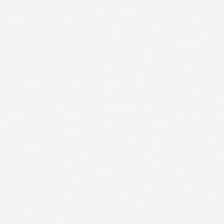H&E.
This patch shows background.
